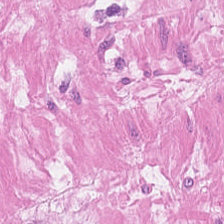Classification: muscularis.
